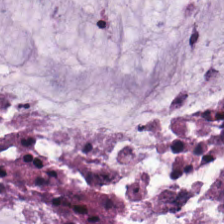Hematoxylin and eosin.
The predominant tissue is mucin.
